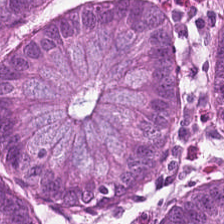H&E. 0.5 µm/px — The tissue class is normal colon mucosa.
